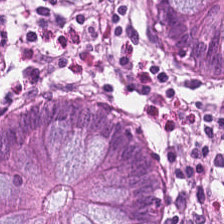Benign colonic mucosa.
